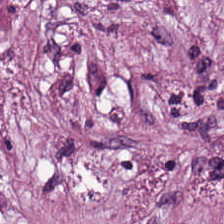Hematoxylin and eosin; 224×224 pixel tile; formalin-fixed paraffin-embedded section. {"tissue_type": "tumor-associated stroma"}
